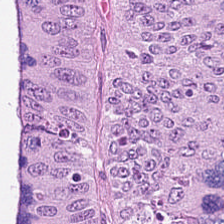Stain: hematoxylin-and-eosin stained section.
Tissue type: colorectal adenocarcinoma.
